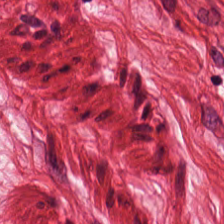Hematoxylin and eosin; whole-slide-image patch.
Tissue class: smooth muscle.
